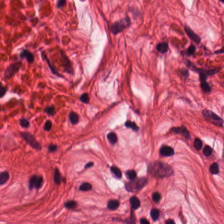H&E stain; 0.5 µm/px; FFPE. Q: What is shown here?
A: The field shows smooth-muscle tissue.
